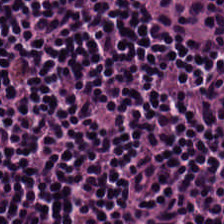224×224 px patch. H&E-stained tissue section. FFPE tissue section. Histology → lymphocytic infiltrate.
